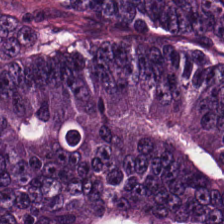Stain: hematoxylin and eosin.
Classification: colorectal adenocarcinoma.
